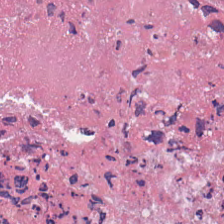H&E stain.
Q: Classify this patch.
A: Debris.
